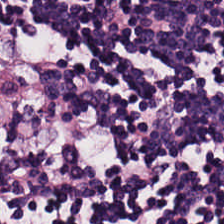H&E · 20× equivalent magnification. The tissue here is lymphoid infiltrate.
